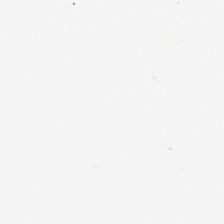224×224 px patch · 0.5 µm/px · H&E — The classification is no tissue.
